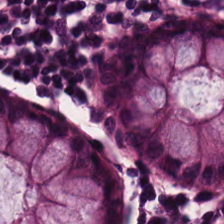Hematoxylin-and-eosin stained section; WSI patch.
This patch shows non-neoplastic colon mucosa.
